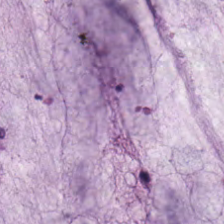H&E-stained tissue section · 0.5 microns per pixel.
The tissue here is extracellular mucin.
